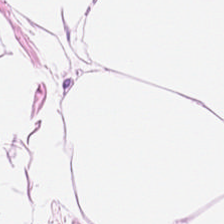H&E — fat tissue.
